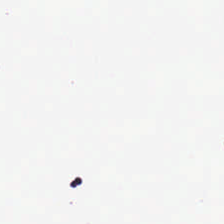Q: Classify this patch.
A: Background (no tissue).
